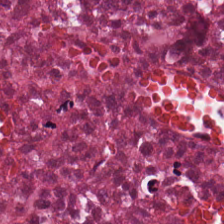Brightfield microscopy · 20× equivalent magnification · H&E stain. The tissue class is necrotic debris.
